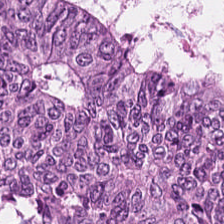H&E-stained tissue section; 0.5 microns per pixel; formalin-fixed paraffin-embedded section — Predominant tissue: malignant epithelium.
